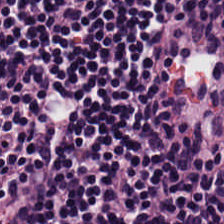H&E-stained tissue section · formalin-fixed paraffin-embedded section · 0.5 µm per pixel — Q: What type of tissue is this?
A: Lymphocytic infiltrate.
